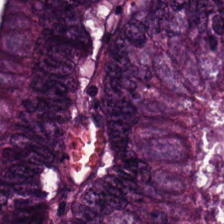Q: What tissue type is shown here?
A: Adenocarcinoma.
